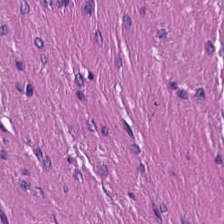0.5 µm per pixel. Hematoxylin-and-eosin stained section. Formalin-fixed paraffin-embedded section.
Classification: smooth-muscle tissue.
